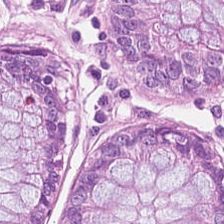H&E stain. Tissue type — normal colon mucosa.
